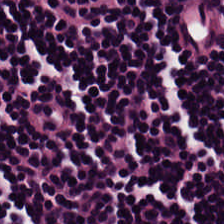Q: What is shown here?
A: The field shows lymphocyte aggregate.
